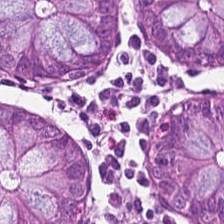Stain: H&E-stained tissue section.
Tile size: 224×224 px tile.
Classification: normal colon mucosa.
